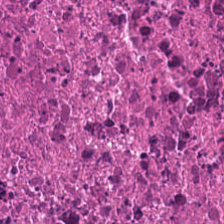H&E-stained tissue section. Impression — cellular debris.
